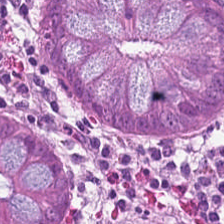0.5 µm/px; H&E-stained tissue section; whole-slide-image patch.
Histology — benign colonic mucosa.
